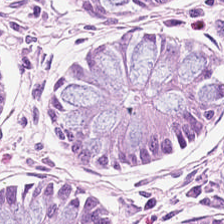The tissue is normal colonic mucosa.
